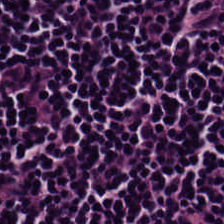Histology — lymphocytic infiltrate.
